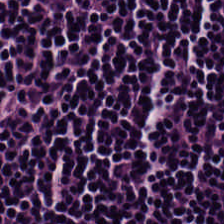H&E · FFPE tissue section.
Q: What is shown here?
A: This is lymphocytes.
